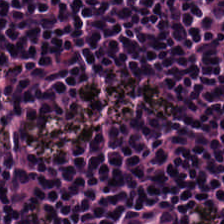H&E-stained tissue section · 0.5 µm/px.
This patch shows lymphoid infiltrate.
